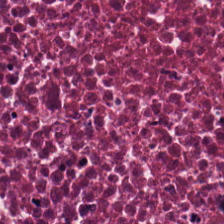Stain: H&E.
Tile size: 224×224 pixel tile.
Predominant tissue: cellular debris.
